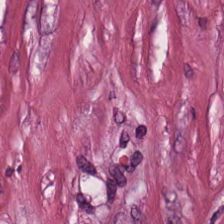Hematoxylin and eosin — Q: What is the predominant tissue type?
A: This is tumor stroma.
